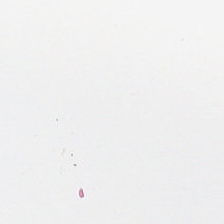Background.
